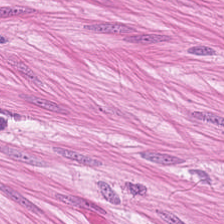H&E.
Tissue type = smooth muscle.
